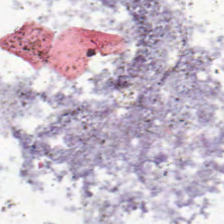Stain: hematoxylin-and-eosin stained section.
Content: background.
